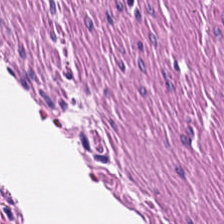WSI patch; 224×224 px patch; H&E. Tissue — smooth muscle.
